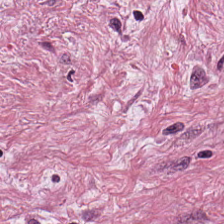Hematoxylin and eosin. Showing tumor-associated stroma.
